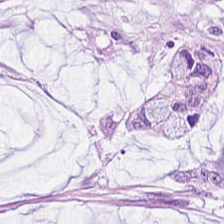FFPE tissue section; H&E-stained tissue section.
Predominantly mucin.
